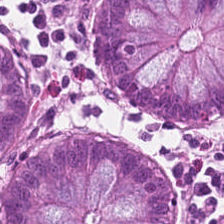Q: What is the predominant tissue type?
A: It is normal colon mucosa.
